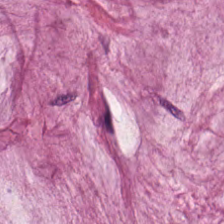Hematoxylin and eosin. FFPE. 224×224 pixel tile.
Tissue type — mucin.
